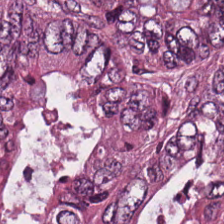H&E — This patch shows tumor epithelium.
